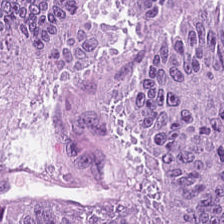Stain: hematoxylin-and-eosin stained section.
Acquisition: brightfield.
Tissue type: tumor epithelium.
